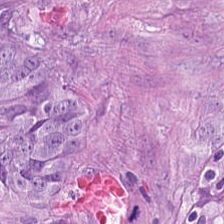224×224 px tile · H&E · WSI patch — Tumor epithelium.
